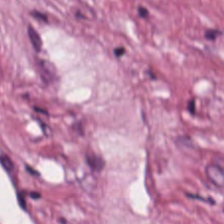H&E-stained tissue section.
Q: Classify this patch.
A: The field shows desmoplastic stroma.
